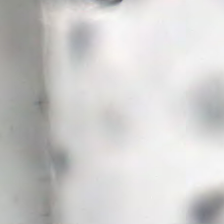H&E; formalin-fixed paraffin-embedded section. Finding — no tissue.
